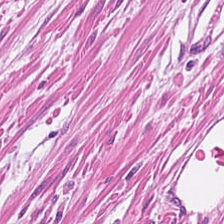20× equivalent magnification; H&E stain.
Q: Identify the tissue.
A: The field shows muscularis.
